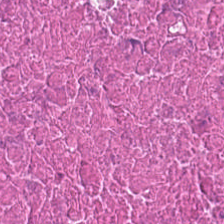Formalin-fixed paraffin-embedded section. H&E-stained tissue section — Predominant tissue — necrotic debris.
